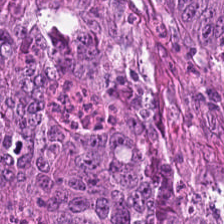Hematoxylin-and-eosin stained section.
Impression — tumor epithelium.
